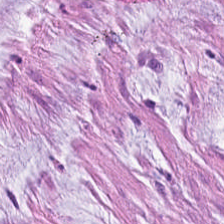H&E-stained tissue section.
Q: What is the predominant tissue type?
A: Mucus.
